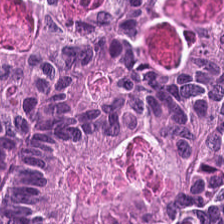Q: Classify this patch.
A: The field shows colorectal adenocarcinoma epithelium.
